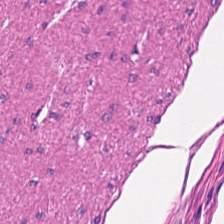The tissue type is smooth muscle.
